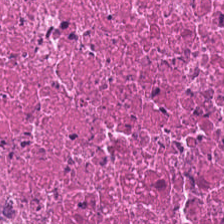H&E-stained tissue section.
Q: What tissue type is shown here?
A: The field shows necrotic debris.
